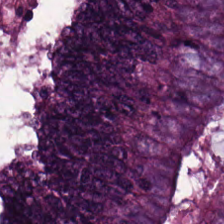0.5 µm per pixel · H&E · brightfield. Q: What is shown here?
A: This is malignant epithelium.
